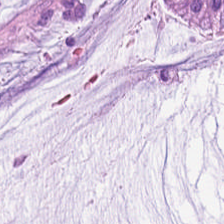Hematoxylin and eosin — Tissue class: mucin.
